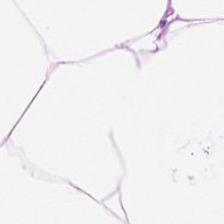Classification — adipose tissue.
